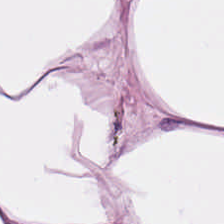Whole-slide-image patch; H&E stain; 0.5 µm per pixel. Q: What tissue type is shown here?
A: Adipose tissue.
